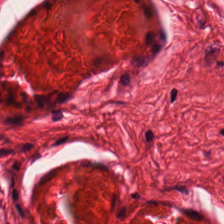The predominant tissue is muscularis.
